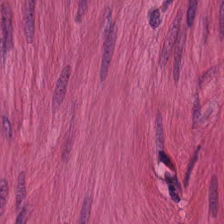H&E — Classification: smooth-muscle tissue.
